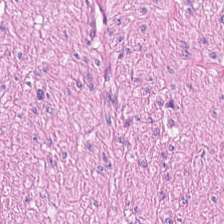FFPE tissue section · H&E. Tissue = muscularis.
